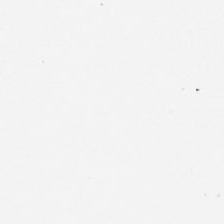Brightfield; H&E stain.
Finding — no tissue.
